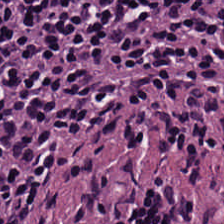Hematoxylin and eosin. Q: Classify this patch.
A: The field shows lymphocytic infiltrate.
